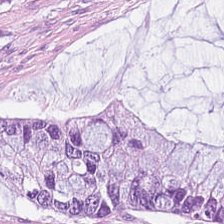H&E-stained section; the field shows mucin.
